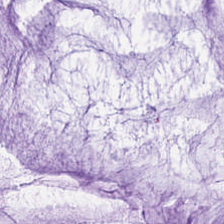Hematoxylin-and-eosin stained section. This field is mucus.
